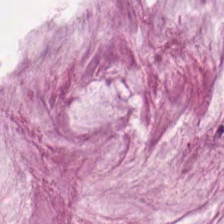FFPE · hematoxylin-and-eosin stained section.
Finding → mucus.
